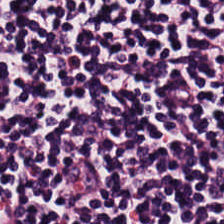224×224 px patch · H&E stain. This patch shows lymphoid infiltrate.
